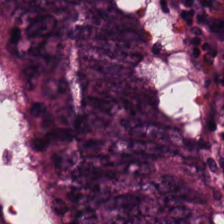Whole-slide-image patch. Hematoxylin and eosin. Q: What is the predominant tissue type?
A: It is malignant epithelium.
